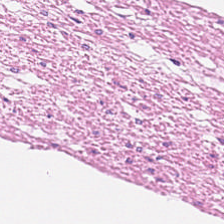Hematoxylin-and-eosin stained section. 0.5 microns per pixel.
Smooth-muscle tissue.
